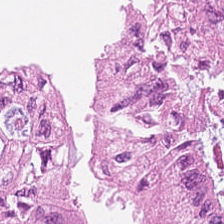H&E-stained tissue section; whole-slide-image patch. Predominantly colorectal adenocarcinoma epithelium.
